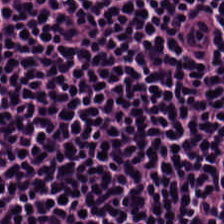H&E.
{"tissue_type": "lymphocytic infiltrate"}
